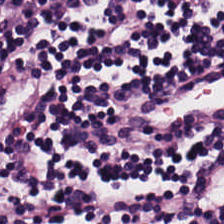Brightfield microscopy. Hematoxylin and eosin.
Q: What type of tissue is this?
A: This is lymphoid infiltrate.
